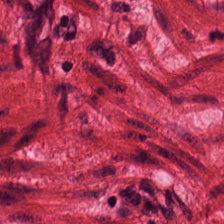Stain: H&E stain.
Resolution: 0.5 µm per pixel.
Predominant tissue: smooth muscle.
